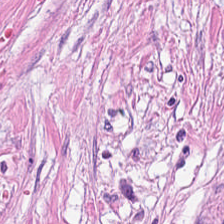Hematoxylin-and-eosin stained section — Histology → tumor-associated stroma.
